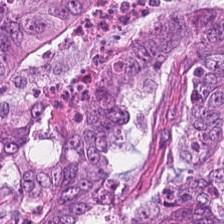Hematoxylin-and-eosin stained section.
The tissue here is malignant epithelium.
